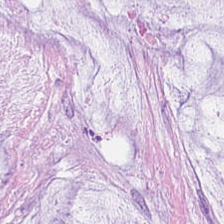H&E-stained tissue section showing extracellular mucin.
